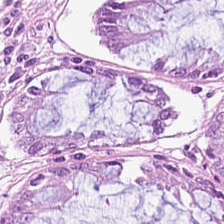H&E stain — Tissue class — normal colon mucosa.
